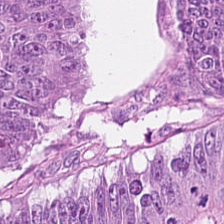224×224 pixel tile; H&E stain.
The tissue is adenocarcinoma.
